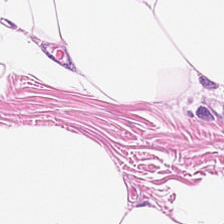H&E stain. Predominantly fat tissue.
